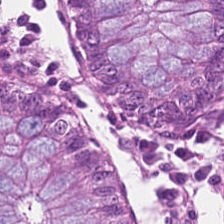WSI patch; H&E; FFPE — This field is benign colonic mucosa.
